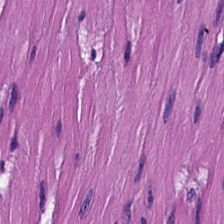Hematoxylin and eosin — Q: What does this patch show?
A: It is smooth muscle.
